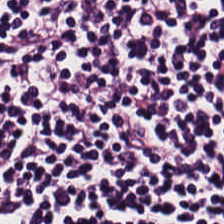Tissue type = lymphocyte aggregate.
